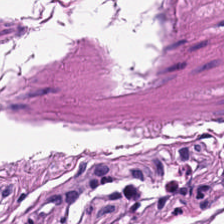H&E · WSI patch — Finding — smooth muscle.
